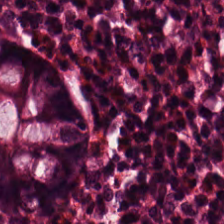H&E. The tissue is benign colonic mucosa.
